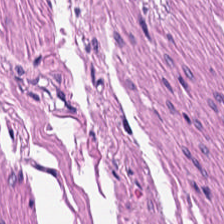FFPE tissue section · hematoxylin-and-eosin stained section — Q: What does this patch show?
A: It is smooth muscle.
